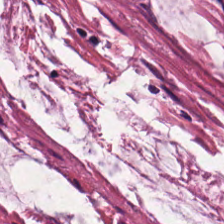H&E — Tissue = extracellular mucin.
